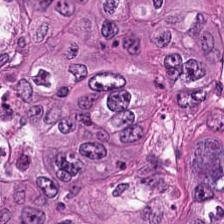Hematoxylin and eosin. Impression → adenocarcinoma.
